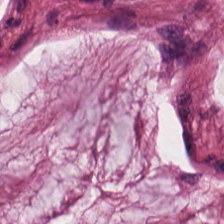H&E stain — Extracellular mucin.
